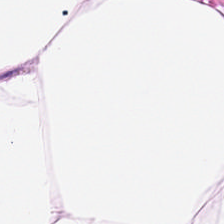Hematoxylin-and-eosin stained section · 0.5 µm/px — Adipocytes.
